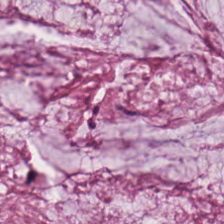Stain: hematoxylin and eosin.
Tissue type: mucus.
